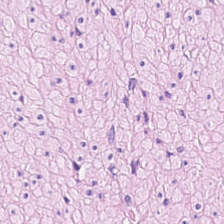Brightfield; hematoxylin and eosin — Tissue — smooth-muscle tissue.
